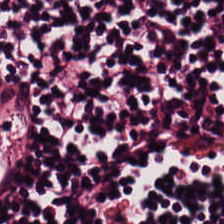H&E stain.
Q: What does this patch show?
A: The field shows lymphocyte aggregate.
